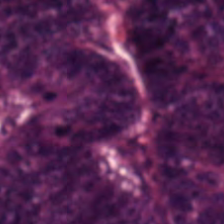FFPE tissue section · H&E-stained tissue section · brightfield microscopy. This field is tumor epithelium.
